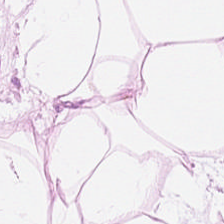H&E-stained tissue section. Predominantly adipocytes.
